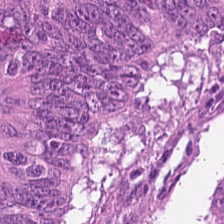0.5 microns per pixel · hematoxylin-and-eosin stained section — Predominantly tumor epithelium.
